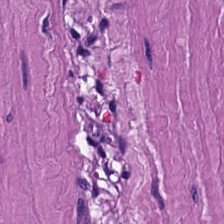The predominant tissue is smooth-muscle tissue.
